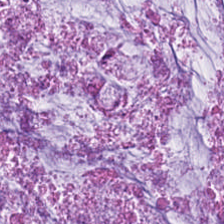Classification: mucin.
